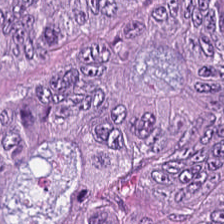Hematoxylin-and-eosin stained section · whole-slide-image patch · 224×224 px tile. Showing adenocarcinoma.
